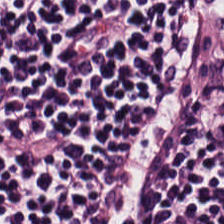Hematoxylin-and-eosin stained section. Histology → lymphocytic infiltrate.
